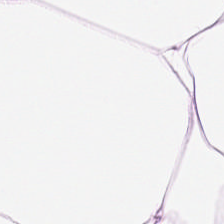H&E-stained tissue section · FFPE — Tissue class = adipocytes.
